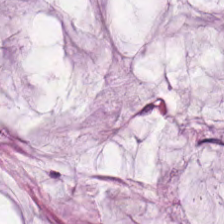FFPE · H&E-stained tissue section.
Mucus.
